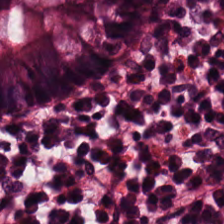Stain: hematoxylin-and-eosin stained section.
Tissue class: normal colonic mucosa.
